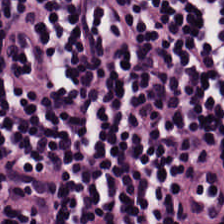H&E-stained tissue section.
Lymphocytes.
